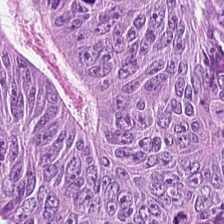The tissue class is colorectal adenocarcinoma.
